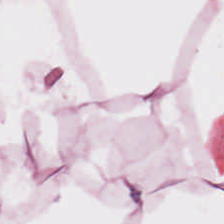0.5 µm/px; hematoxylin-and-eosin stained section — Fat tissue.
